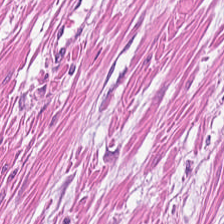H&E stain. Q: Classify this patch.
A: This is smooth-muscle tissue.
